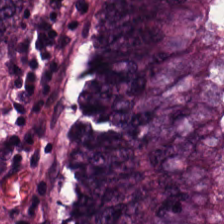H&E-stained section; the field shows colorectal adenocarcinoma epithelium.
